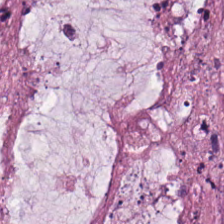Tissue — extracellular mucin.
